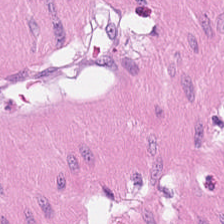Stain: hematoxylin-and-eosin stained section.
Preparation: formalin-fixed paraffin-embedded section.
Tissue class: smooth muscle.
